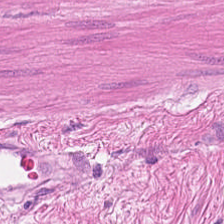Stain: H&E-stained tissue section.
Tissue type: muscularis.
